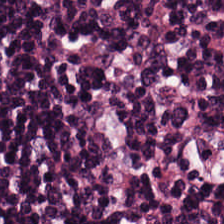H&E — The classification is lymphocyte aggregate.
